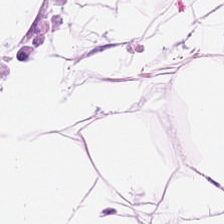Hematoxylin-and-eosin stained section · WSI patch. Impression → adipose.
